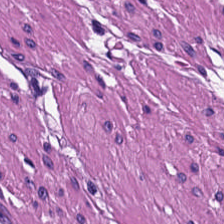224×224 px patch; FFPE; H&E. This patch shows muscularis.
